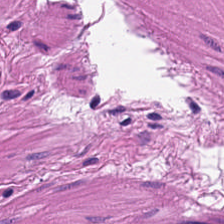H&E-stained tissue section; 224×224 px tile; brightfield. This patch shows smooth muscle.
